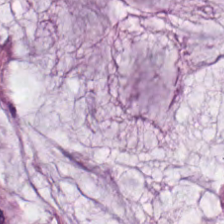FFPE tissue section. Hematoxylin and eosin — Finding → extracellular mucin.
